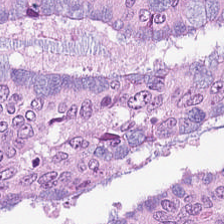Predominant tissue = tumor epithelium.
